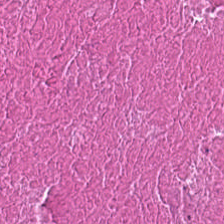Histology — necrotic debris.
